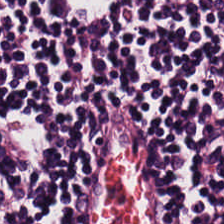The tissue type is lymphoid infiltrate.
